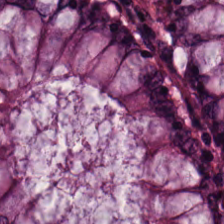Hematoxylin-and-eosin stained section. Predominant tissue: non-neoplastic colon mucosa.
